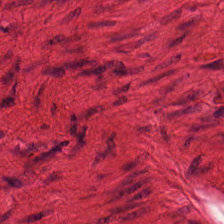Hematoxylin and eosin · formalin-fixed paraffin-embedded section — {"tissue_type": "smooth-muscle tissue"}
